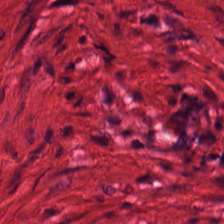H&E stain.
Histology → smooth muscle.
